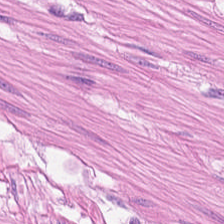Brightfield. Hematoxylin and eosin. Smooth muscle.
